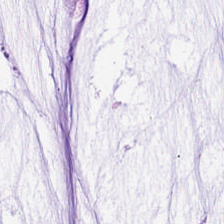H&E-stained tissue section. The classification is extracellular mucin.
